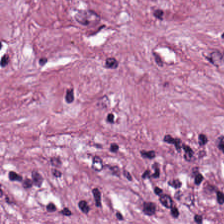Tissue class = desmoplastic stroma.
